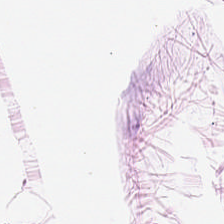Stain: hematoxylin-and-eosin stained section.
Resolution: 20× equivalent magnification.
Acquisition: whole-slide-image patch.
Tissue class: adipocytes.
